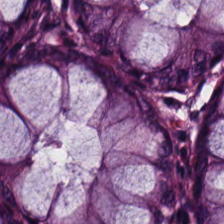Hematoxylin-and-eosin stained section · whole-slide-image patch.
Q: Identify the tissue.
A: The field shows normal colon mucosa.
